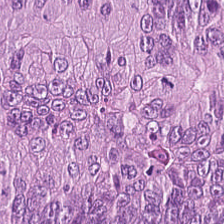Colorectal adenocarcinoma.
